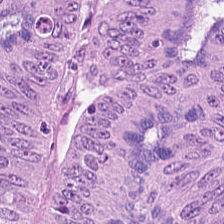Hematoxylin and eosin · 0.5 microns per pixel · formalin-fixed paraffin-embedded section.
The predominant tissue is colorectal adenocarcinoma epithelium.
